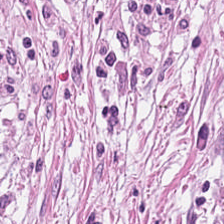0.5 µm/px · whole-slide-image patch · hematoxylin and eosin — Q: What tissue is shown?
A: This is cancer-associated stroma.
